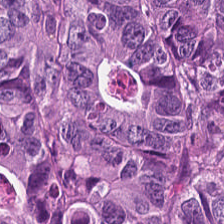H&E-stained tissue section · 0.5 microns per pixel · 224×224 px tile — The tissue here is adenocarcinoma.
